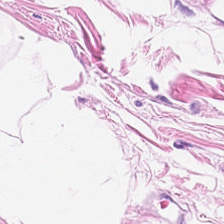Brightfield; H&E; 224×224 px patch. Tissue: adipocytes.
